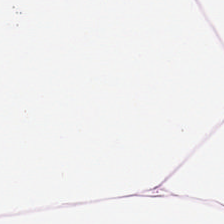H&E.
{"tissue_type": "adipocytes"}
